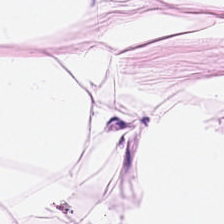H&E stain. Q: What type of tissue is this?
A: Adipose.
